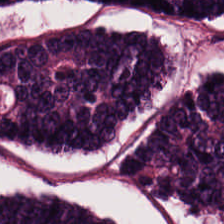Q: What is the predominant tissue type?
A: Colorectal adenocarcinoma epithelium.
